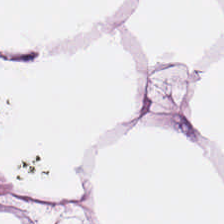H&E stain. 224×224 pixel tile. 0.5 µm per pixel.
Predominantly adipose.
